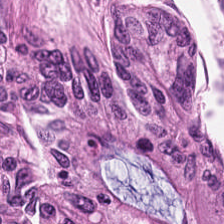224×224 px patch. Hematoxylin and eosin. Formalin-fixed paraffin-embedded section.
Q: What tissue type is shown here?
A: It is malignant epithelium.
